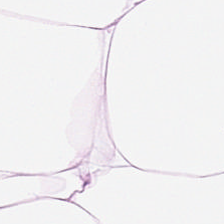H&E — Q: What does this patch show?
A: This is adipocytes.
